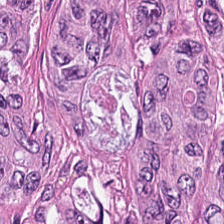Stain: H&E.
Preparation: FFPE tissue section.
Tile size: 224×224 px patch.
Predominant tissue: colorectal adenocarcinoma.
